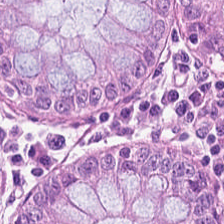H&E.
Tissue type: benign colonic mucosa.
